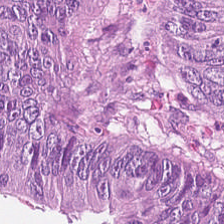H&E — Tissue: colorectal adenocarcinoma epithelium.
